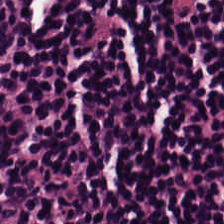H&E. 0.5 µm per pixel. Impression — lymphocytes.
